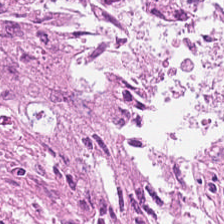H&E — Impression → colorectal adenocarcinoma.
